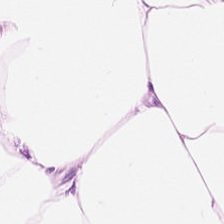Hematoxylin-and-eosin stained section. Histology — adipocytes.
